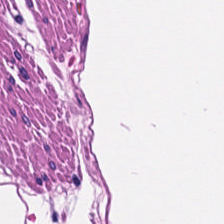H&E-stained tissue section.
Showing smooth-muscle tissue.
